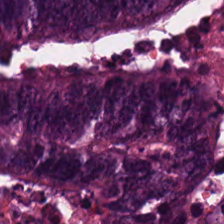H&E-stained tissue section. Q: What type of tissue is this?
A: Colorectal adenocarcinoma epithelium.
